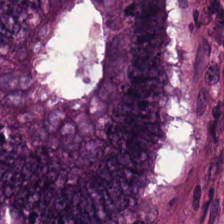Q: What tissue is shown?
A: The field shows colorectal adenocarcinoma.
